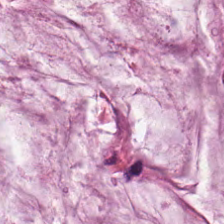The predominant tissue is mucus.
